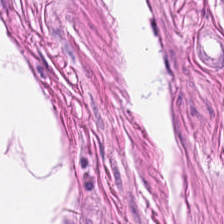H&E-stained tissue section showing muscularis.
